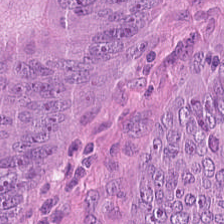Hematoxylin-and-eosin stained section; 224×224 px patch — The predominant tissue is tumor epithelium.
